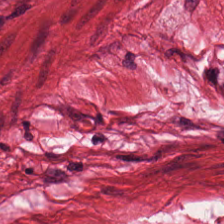20× equivalent magnification; 224×224 pixel tile; hematoxylin-and-eosin stained section — Tissue class: smooth muscle.
